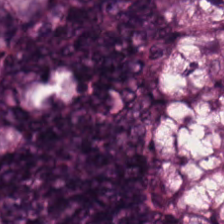Formalin-fixed paraffin-embedded section · 224×224 pixel tile · hematoxylin-and-eosin stained section. Q: What is shown here?
A: This is malignant epithelium.
